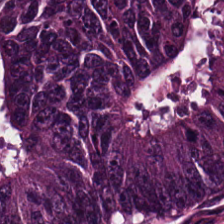H&E stain — The predominant tissue is tumor epithelium.
